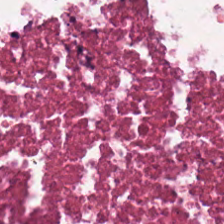224×224 px patch. H&E stain. Brightfield. The predominant tissue is necrotic debris.
